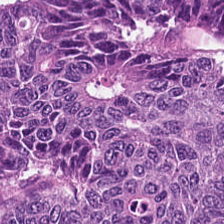H&E stain.
Finding — tumor epithelium.
